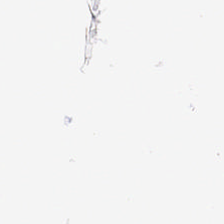This patch shows background.
